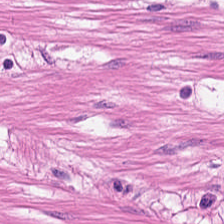Whole-slide-image patch. H&E-stained tissue section.
Impression → smooth-muscle tissue.
